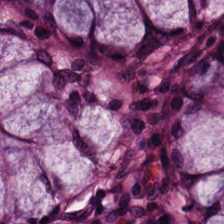H&E.
Predominant tissue: normal colon mucosa.
